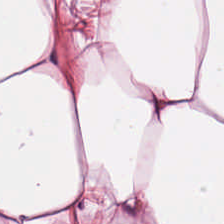Stain: H&E stain.
Resolution: 20× equivalent magnification.
Classification: fat tissue.
